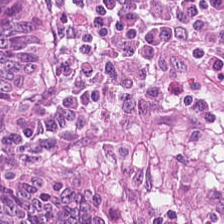Hematoxylin-and-eosin section: malignant epithelium.
